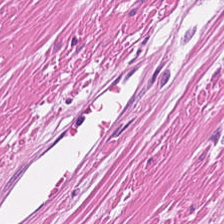Hematoxylin-and-eosin stained section · brightfield — Q: Classify this patch.
A: This is muscularis.
